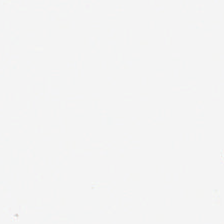Hematoxylin-and-eosin stained section. Whole-slide-image patch.
Finding → background (no tissue).
